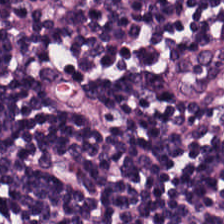Tissue type — lymphocyte aggregate.
